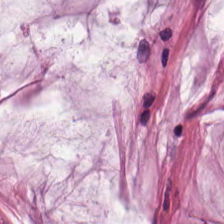FFPE tissue section. 0.5 microns per pixel. H&E — Histology → extracellular mucin.
